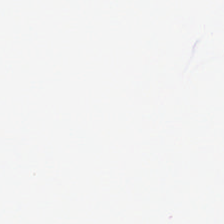Hematoxylin and eosin · formalin-fixed paraffin-embedded section. No tissue present; background only.
